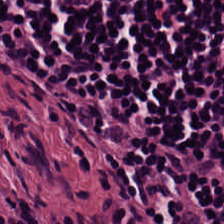{"tissue_type": "lymphocytic infiltrate"}
